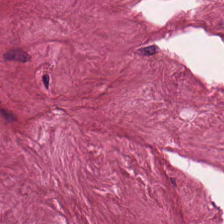Hematoxylin and eosin. This patch shows desmoplastic stroma.
